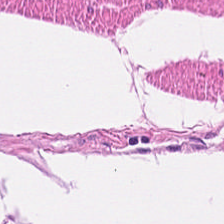FFPE · hematoxylin and eosin.
Predominantly smooth-muscle tissue.
